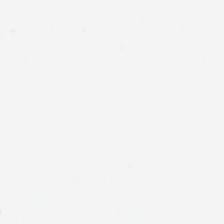Q: What does this patch show?
A: Background.
